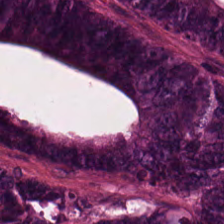FFPE · 0.5 µm per pixel · H&E-stained tissue section.
The predominant tissue is malignant epithelium.
